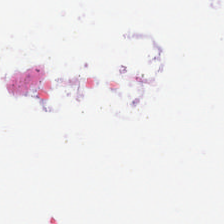Q: What is shown in this field?
A: This is background.
